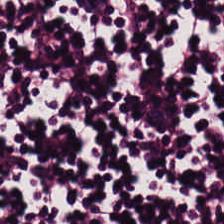H&E. Predominant tissue: lymphocyte aggregate.
